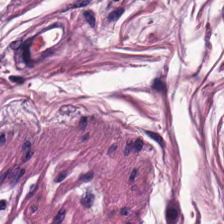H&E; 224×224 px patch.
Q: What type of tissue is this?
A: This is smooth muscle.
